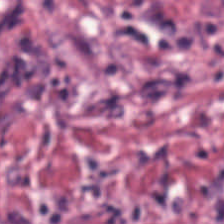FFPE · H&E.
The tissue here is tumor-associated stroma.
